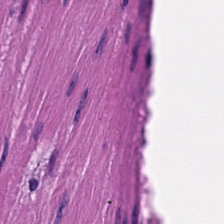Brightfield. FFPE tissue section. Hematoxylin-and-eosin stained section. Q: What does this patch show?
A: The field shows smooth-muscle tissue.
